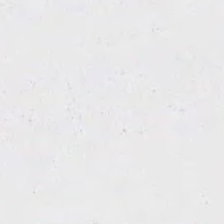Stain: H&E.
Field content: background.
